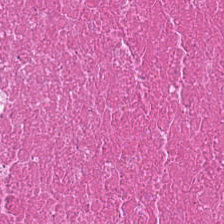H&E stain.
The tissue type is cellular debris.
